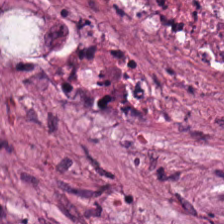Formalin-fixed paraffin-embedded section · H&E stain — Cellular debris.
